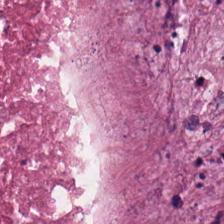H&E — {"tissue_type": "necrotic debris"}
